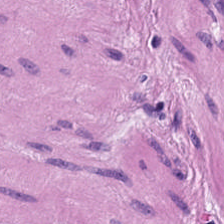H&E; WSI patch; FFPE — Q: Identify the tissue.
A: Smooth muscle.
